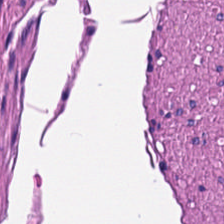H&E-stained tissue section. {"tissue_type": "smooth-muscle tissue"}
